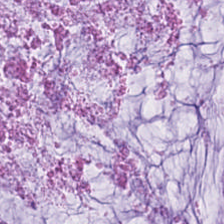H&E.
Showing mucus.
